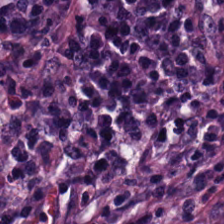Hematoxylin and eosin; 20× equivalent magnification — Lymphocytes.
